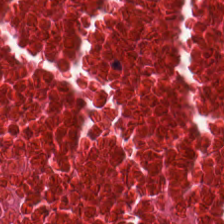Hematoxylin-and-eosin stained section · 224×224 px patch. Predominant tissue — necrotic debris.
